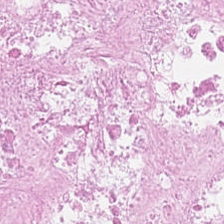Whole-slide-image patch · hematoxylin and eosin. Classification = cellular debris.
